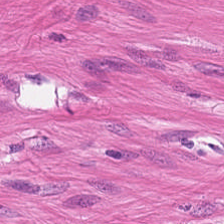Tissue: smooth muscle.
